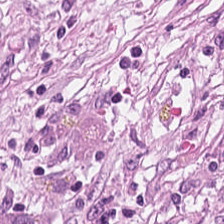H&E — {"tissue_type": "cancer-associated stroma"}
